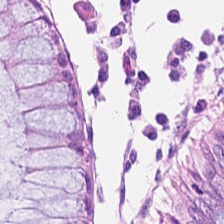Whole-slide-image patch; hematoxylin-and-eosin stained section; 224×224 pixel tile — Q: What type of tissue is this?
A: It is normal colonic mucosa.
